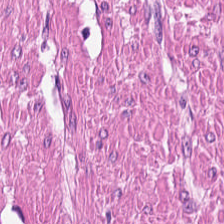Brightfield microscopy. Hematoxylin and eosin. FFPE — {"tissue_type": "smooth muscle"}
